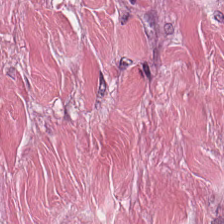H&E-stained tissue section. Histology — desmoplastic stroma.
